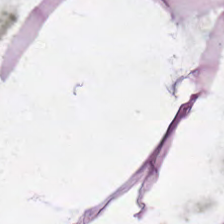224×224 px tile; 0.5 µm/px; hematoxylin-and-eosin stained section — The tissue type is adipose tissue.
